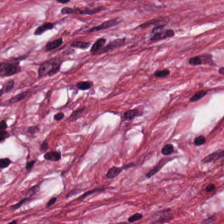H&E stain · FFPE tissue section · 0.5 microns per pixel — The predominant tissue is desmoplastic stroma.
